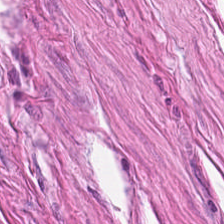20× equivalent magnification. FFPE. H&E.
The classification is smooth-muscle tissue.
